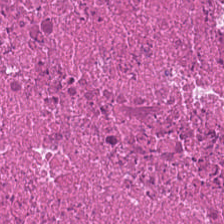Stain: H&E.
Tile size: 224×224 pixel tile.
Preparation: FFPE tissue section.
Tissue: necrotic debris.
